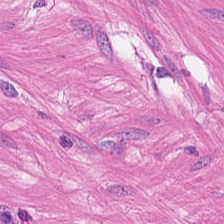Stain: hematoxylin-and-eosin stained section.
Tissue: smooth muscle.
